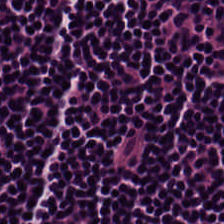H&E-stained tissue section. Finding → lymphocyte aggregate.
